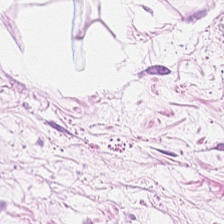224×224 px patch · hematoxylin-and-eosin stained section · 0.5 µm per pixel — Classification: adipocytes.
